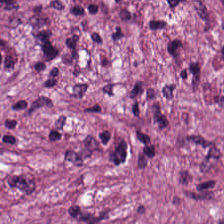Stain: H&E.
Predominant tissue: desmoplastic stroma.
